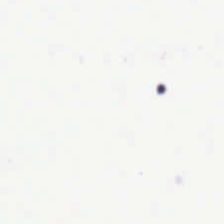0.5 µm per pixel · H&E-stained tissue section · FFPE tissue section. The content is background.
